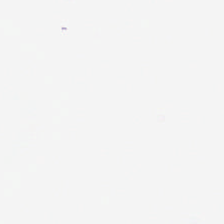Hematoxylin-and-eosin stained section.
The field content is background (no tissue).
